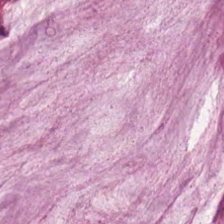H&E. The predominant tissue is mucin.
